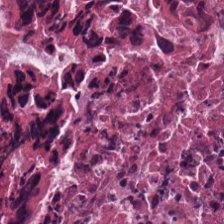Hematoxylin-and-eosin stained section. Predominant tissue: cellular debris.
